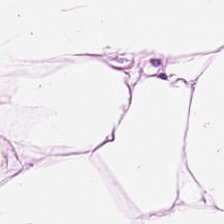H&E stain — Q: What is the predominant tissue type?
A: The field shows adipose tissue.
